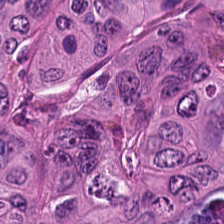Hematoxylin-and-eosin stained section; 224×224 px patch; whole-slide-image patch — {"tissue_type": "colorectal adenocarcinoma epithelium"}
